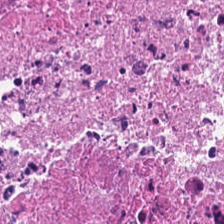H&E stain · 224×224 px patch — Predominantly necrotic debris.
